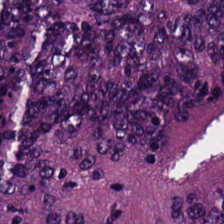0.5 microns per pixel · H&E stain — Colorectal adenocarcinoma epithelium.
